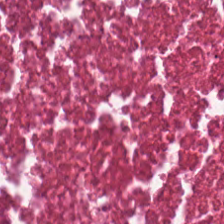Q: What is shown here?
A: The field shows cellular debris.
